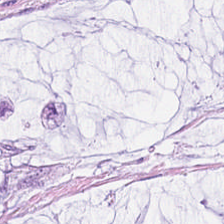0.5 µm per pixel; H&E-stained tissue section — This field is extracellular mucin.
